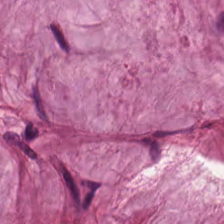Brightfield; H&E; formalin-fixed paraffin-embedded section.
The predominant tissue is extracellular mucin.
